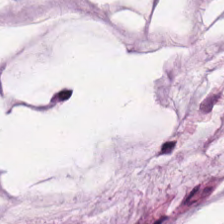H&E stain · brightfield. Finding → mucus.
